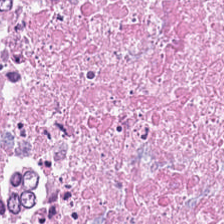Stain: H&E.
Acquisition: whole-slide-image patch.
Tile size: 224×224 px tile.
Predominant tissue: cellular debris.
